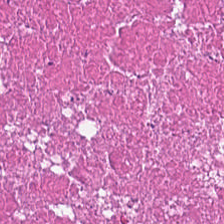0.5 microns per pixel · formalin-fixed paraffin-embedded section · hematoxylin and eosin — The tissue is cellular debris.
